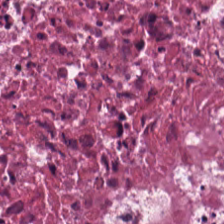H&E-stained tissue section; 0.5 µm/px. Tissue type: cellular debris.
